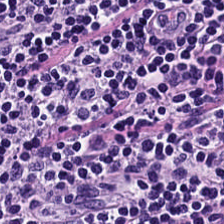This patch shows lymphoid infiltrate.
